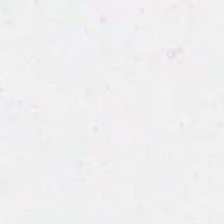FFPE tissue section; H&E stain.
This patch shows background (no tissue).
